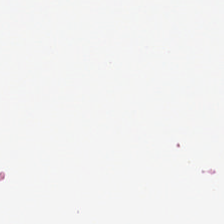H&E · brightfield.
Empty field — no tissue.
